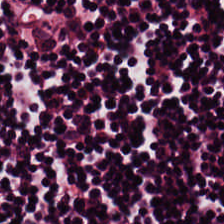Stain: hematoxylin-and-eosin stained section.
Resolution: 0.5 µm per pixel.
Tissue: lymphocyte aggregate.
